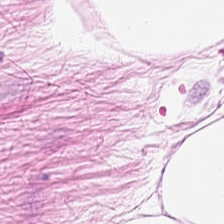FFPE tissue section · hematoxylin and eosin.
The tissue here is adipose.
